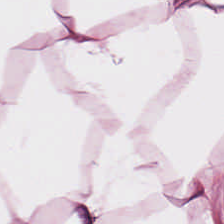H&E stain. Whole-slide-image patch.
The tissue is adipose.
